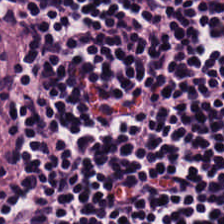The tissue is lymphoid infiltrate.
